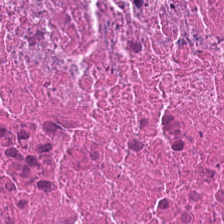H&E. Q: What does this patch show?
A: It is necrotic debris.
